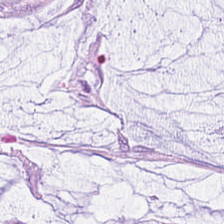Stain: H&E.
Resolution: 0.5 µm/px.
Predominant tissue: extracellular mucin.
